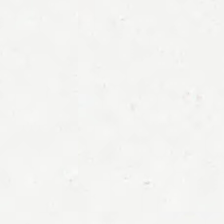Hematoxylin-and-eosin stained section — The classification is background (no tissue).
